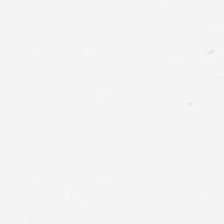H&E-stained tissue section. Background — no tissue in this field.
